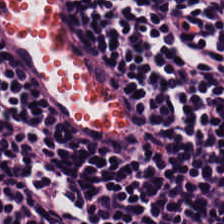Lymphocyte aggregate.
